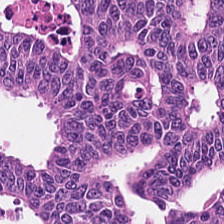The predominant tissue is malignant epithelium.
